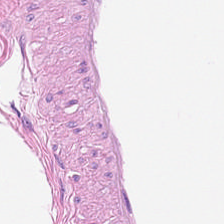H&E. This field is adipose tissue.
